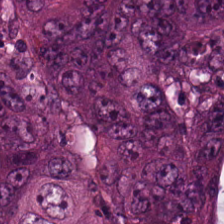Brightfield microscopy. Hematoxylin-and-eosin stained section. 224×224 px patch. This patch shows colorectal adenocarcinoma epithelium.
